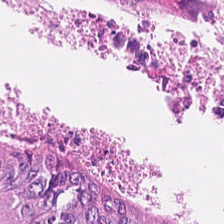H&E-stained tissue section; WSI patch — Colorectal adenocarcinoma epithelium.
